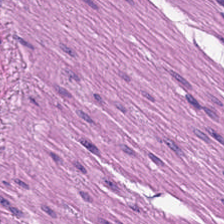Hematoxylin-and-eosin stained section.
Predominant tissue = smooth-muscle tissue.
